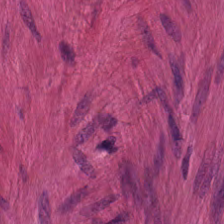H&E-stained tissue section. Showing smooth muscle.
